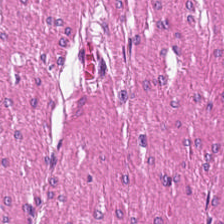Impression — smooth-muscle tissue.
